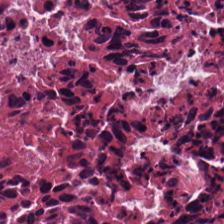H&E stain.
Finding — debris.
